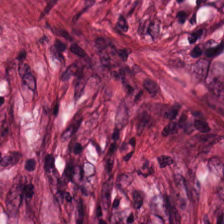Hematoxylin and eosin — The tissue here is desmoplastic stroma.
